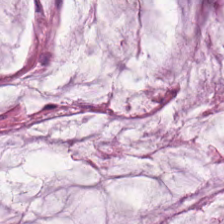H&E-stained tissue section.
This field is mucin.
